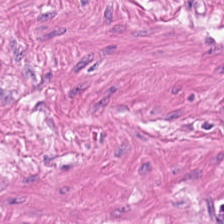Hematoxylin and eosin. 224×224 px tile.
Showing muscularis.
